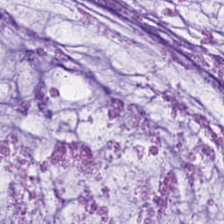0.5 microns per pixel. 224×224 px tile. H&E stain — {"tissue_type": "mucus"}
